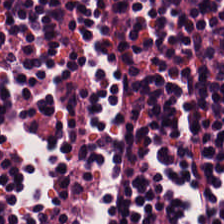Stain: hematoxylin and eosin.
Tissue class: lymphocytes.
